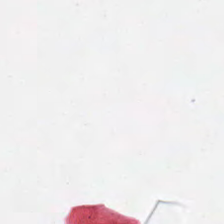224×224 px patch; H&E stain. Q: What does this patch show?
A: No tissue.
